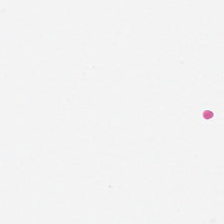No tissue present; background only.
